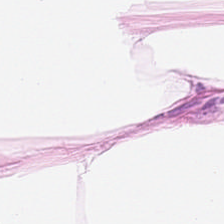Hematoxylin and eosin. Q: What is shown here?
A: The field shows adipocytes.
